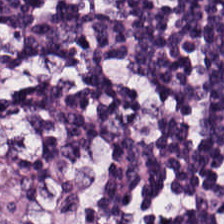FFPE. H&E. This patch shows lymphocytes.
